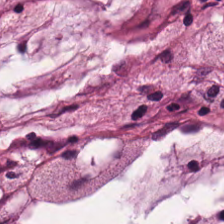224×224 px patch. H&E-stained tissue section. 0.5 microns per pixel. Mucin.
